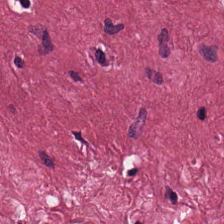H&E stain; brightfield — This patch shows desmoplastic stroma.
